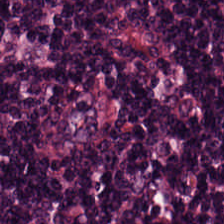This field is lymphocytic infiltrate.
